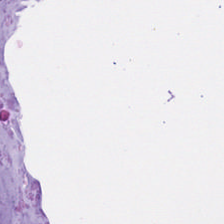Stain: H&E.
Acquisition: whole-slide-image patch.
Predominant tissue: extracellular mucin.
